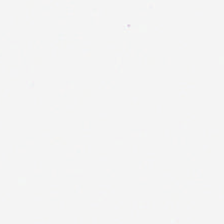H&E. FFPE. 224×224 px patch. Empty field — no tissue.
